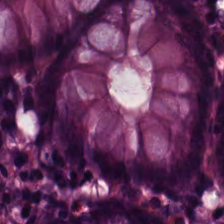Hematoxylin-and-eosin stained section. 224×224 pixel tile — Impression → normal colon mucosa.
